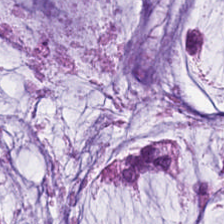H&E stain — Tissue — mucus.
